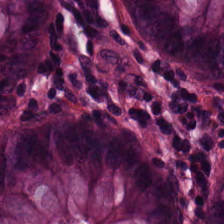This field is normal colonic mucosa.
